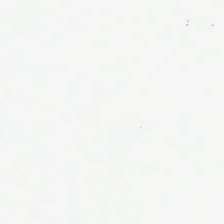H&E-stained tissue section. 0.5 µm/px — Empty field — empty background.
